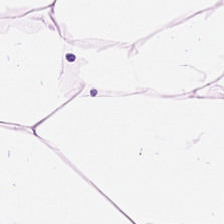Hematoxylin-and-eosin section: fat tissue.
